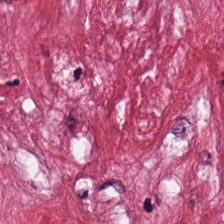H&E-stained tissue section.
Tissue type = cancer-associated stroma.
